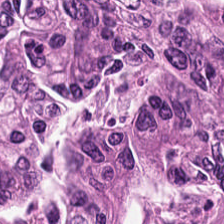Brightfield; H&E-stained tissue section. Classification: colorectal adenocarcinoma.
